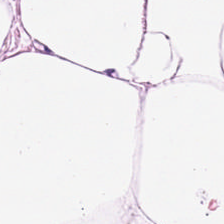H&E stain.
This field is adipocytes.
